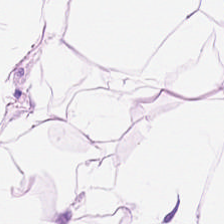This patch shows adipocytes.
